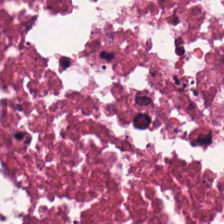This patch shows necrotic debris.
